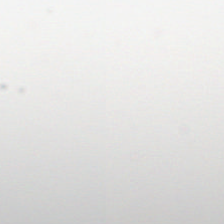This patch shows background.
